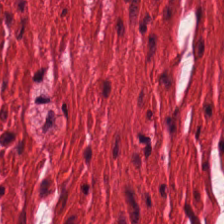H&E. Histology → muscularis.
